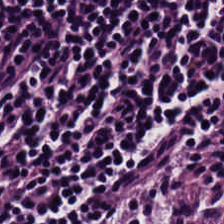H&E — Tissue type: lymphocyte aggregate.
